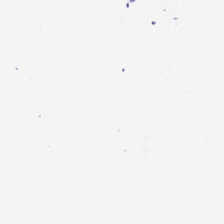Hematoxylin and eosin. This patch shows background.
